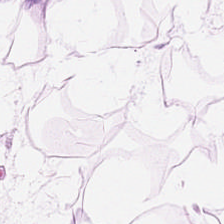The tissue class is fat tissue.
